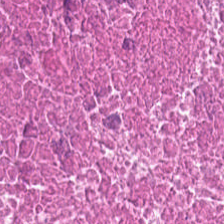H&E stain.
This patch shows necrotic debris.
